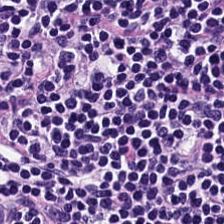Stain: H&E-stained tissue section.
Resolution: 20× equivalent magnification.
Classification: lymphocytes.
